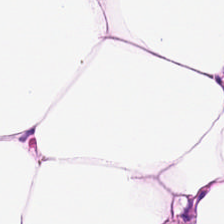Hematoxylin and eosin. Tissue type — adipose tissue.
